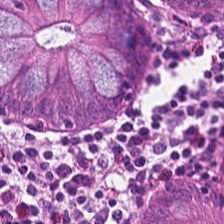WSI patch; H&E. Showing normal colon mucosa.
